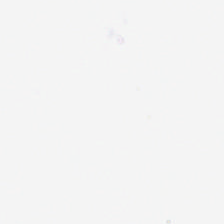H&E-stained tissue section. This patch shows background.
